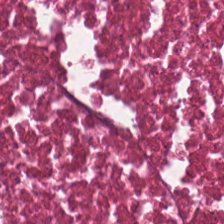WSI patch · H&E-stained tissue section. {"tissue_type": "cellular debris"}
